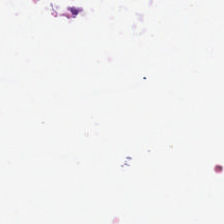Hematoxylin and eosin. Empty field — background (no tissue).
